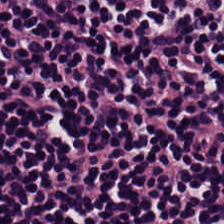Stain: H&E-stained tissue section.
Preparation: FFPE.
Acquisition: brightfield.
Tissue type: lymphocytes.
